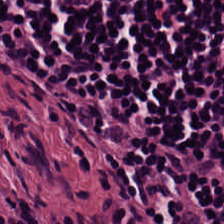Lymphocytic infiltrate.
